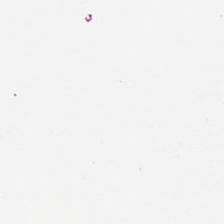Hematoxylin and eosin; brightfield — Field content: background.
